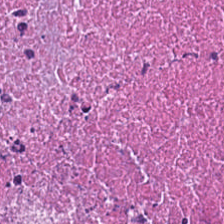H&E-stained tissue section — Predominantly debris.
